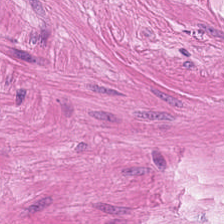Predominant tissue — smooth-muscle tissue.
